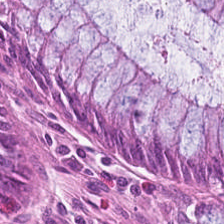20× equivalent magnification · hematoxylin-and-eosin stained section.
This field is normal colon mucosa.
